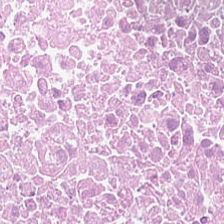Hematoxylin-and-eosin stained section.
Q: What tissue is shown?
A: This is necrotic debris.
